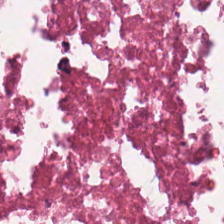Hematoxylin-and-eosin stained section. This patch shows necrotic debris.
